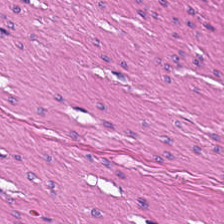224×224 px tile; H&E-stained tissue section; 20× equivalent magnification — This patch shows muscularis.
